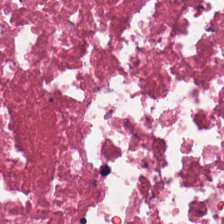H&E; 224×224 px tile. Tissue class = necrotic debris.
